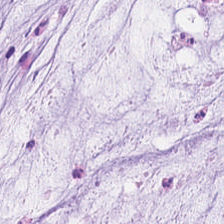Hematoxylin and eosin. Extracellular mucin.
